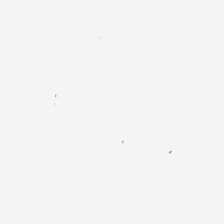H&E stain · 0.5 µm/px. Q: What does this patch show?
A: Background.
